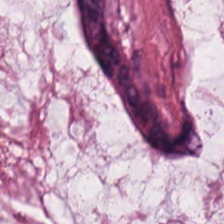Stain: H&E stain.
Tissue type: mucin.
